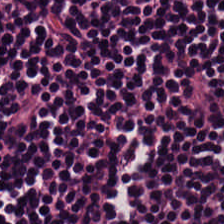H&E — Lymphocyte aggregate.
